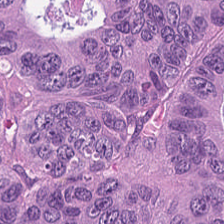H&E · FFPE tissue section · 224×224 px patch. Tissue: tumor epithelium.
